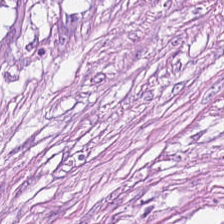FFPE tissue section · H&E. Predominant tissue: tumor stroma.
